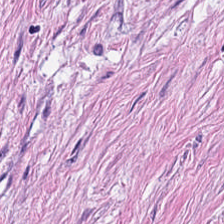H&E-stained tissue section — The predominant tissue is smooth-muscle tissue.
